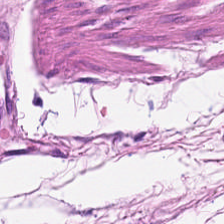Stain: H&E-stained tissue section.
Acquisition: WSI patch.
Predominant tissue: smooth-muscle tissue.
